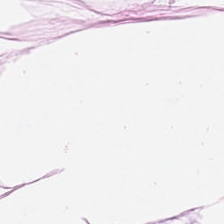Stain: H&E-stained tissue section.
Classification: fat tissue.
